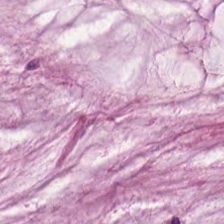H&E stain. 224×224 pixel tile. FFPE. Q: What type of tissue is this?
A: It is mucus.
